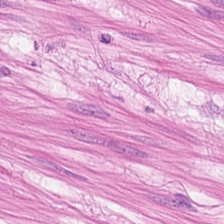Brightfield · hematoxylin-and-eosin stained section · 0.5 microns per pixel. Q: What tissue type is shown here?
A: The field shows muscularis.
